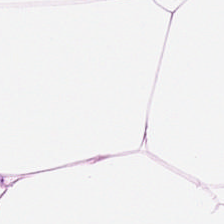Stain: H&E.
Tissue: adipocytes.
